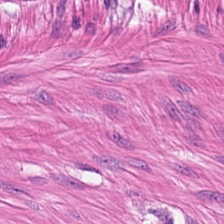Impression — muscularis.
